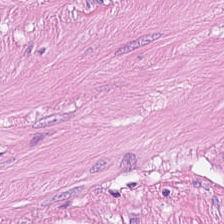Hematoxylin and eosin; FFPE; 224×224 px patch.
{"tissue_type": "smooth-muscle tissue"}
